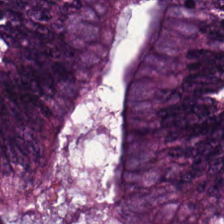Formalin-fixed paraffin-embedded section · hematoxylin and eosin — This field is adenocarcinoma.
